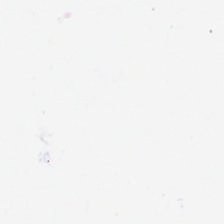Hematoxylin-and-eosin stained section. Field content — empty background.
